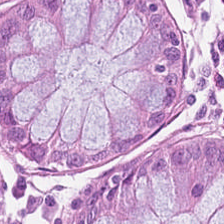Hematoxylin and eosin — Predominantly non-neoplastic colon mucosa.
